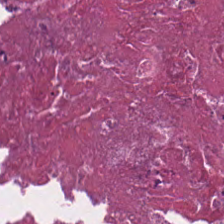Hematoxylin and eosin. Whole-slide-image patch — Showing debris.
